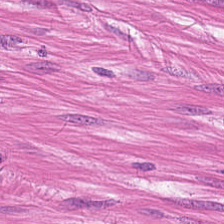H&E.
Showing smooth-muscle tissue.
